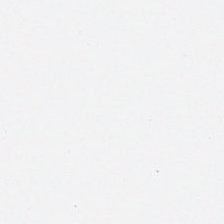Stain: H&E-stained tissue section.
Classification: background.
